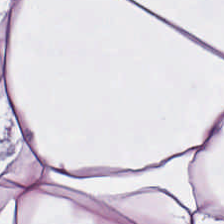Hematoxylin-and-eosin stained section.
Q: Identify the tissue.
A: The field shows adipose.
